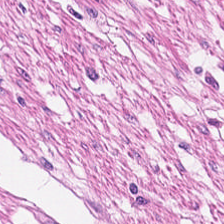Stain: H&E.
Tissue class: muscularis.
